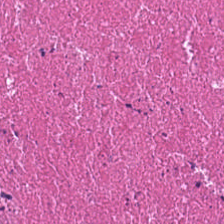0.5 µm/px · formalin-fixed paraffin-embedded section · H&E stain.
Tissue type: debris.
